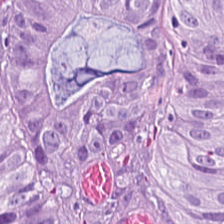Brightfield microscopy · H&E stain · 0.5 microns per pixel — Colorectal adenocarcinoma.
